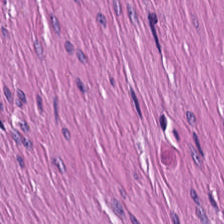FFPE tissue section · hematoxylin-and-eosin stained section · 0.5 µm/px — Smooth muscle.
